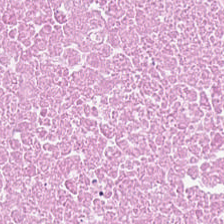H&E stain — This field is cellular debris.
